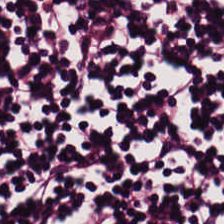Lymphocytes.
